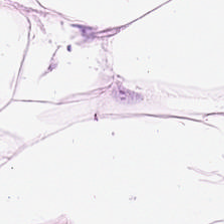Hematoxylin and eosin — {"tissue_type": "adipose"}
